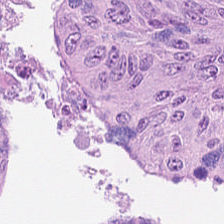H&E. FFPE tissue section — Malignant epithelium.
